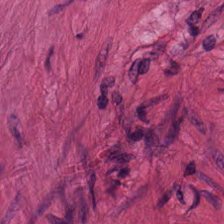H&E — smooth muscle.
